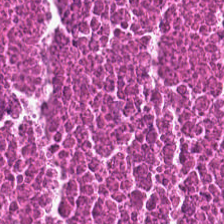Q: What tissue is shown?
A: It is debris.
